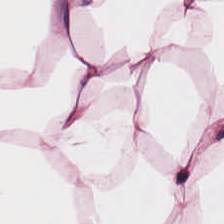The tissue is adipocytes.
